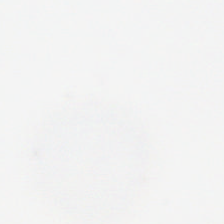Hematoxylin-and-eosin stained section. Empty background.
